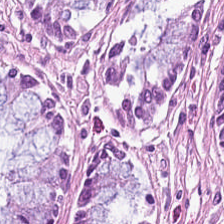Hematoxylin-and-eosin stained section. This patch shows benign colonic mucosa.
